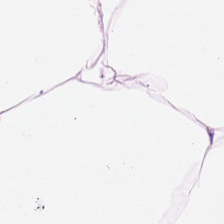224×224 px tile · hematoxylin and eosin · FFPE. Tissue type = fat tissue.
